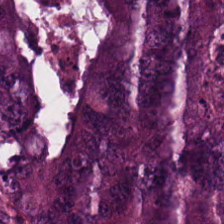Q: What is the predominant tissue type?
A: Colorectal adenocarcinoma.
